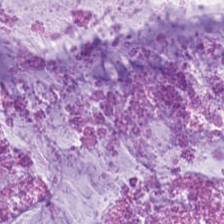Hematoxylin-and-eosin stained section · FFPE · 20× equivalent magnification. Mucus.
